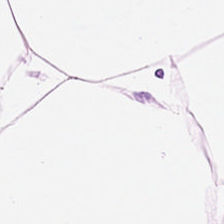Hematoxylin-and-eosin stained section. Showing fat tissue.
